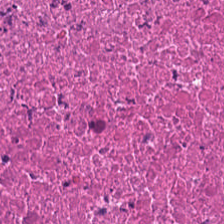The predominant tissue is debris.
